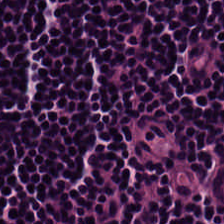Histology — lymphocytic infiltrate.
